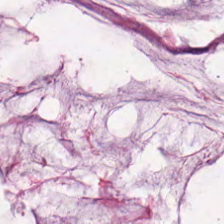Formalin-fixed paraffin-embedded section. H&E — Showing extracellular mucin.
